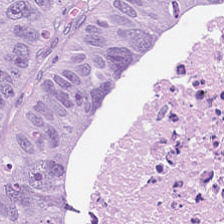This field is adenocarcinoma.
